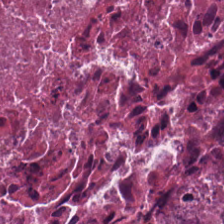Hematoxylin and eosin — {"tissue_type": "necrotic debris"}
